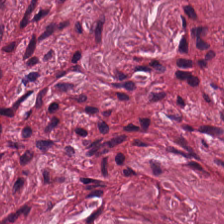Classification: tumor stroma.
